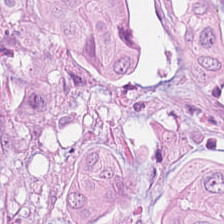Predominantly malignant epithelium.
